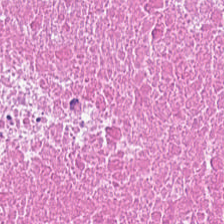224×224 px patch · hematoxylin-and-eosin stained section.
Predominantly cellular debris.
